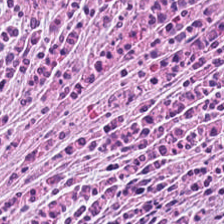H&E-stained tissue section. This patch shows tumor-associated stroma.
